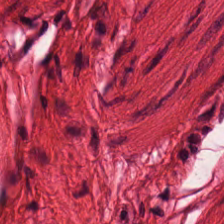Hematoxylin and eosin. Q: What is shown here?
A: This is muscularis.
